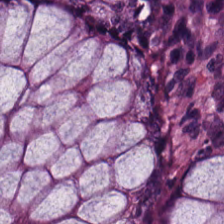Hematoxylin-and-eosin stained section.
The tissue class is normal colon mucosa.
